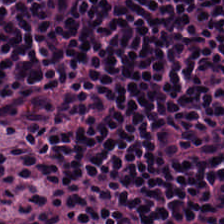The tissue class is lymphocytic infiltrate.
